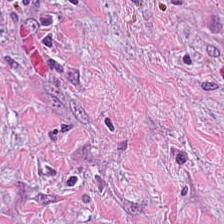Stain: hematoxylin-and-eosin stained section.
Acquisition: brightfield.
Predominant tissue: tumor-associated stroma.
